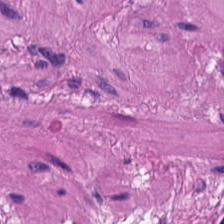Showing smooth-muscle tissue.
